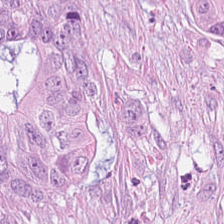H&E stain — This patch shows colorectal adenocarcinoma.
